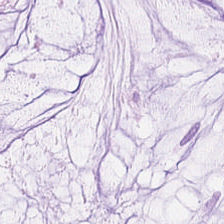Stain: hematoxylin-and-eosin stained section.
Tissue: mucin.
